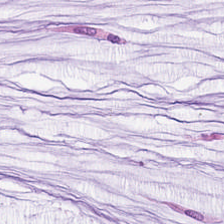224×224 px patch; hematoxylin-and-eosin stained section. Predominantly mucus.
